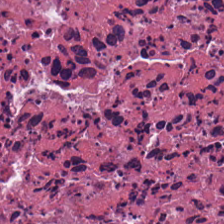Brightfield · H&E · FFPE tissue section.
The tissue here is debris.
